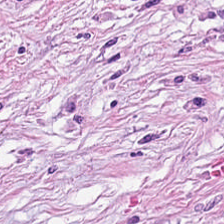H&E-stained section; the field shows cancer-associated stroma.
